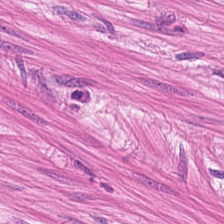H&E. This field is smooth-muscle tissue.
